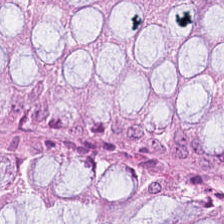Q: What does this patch show?
A: The field shows benign colonic mucosa.
